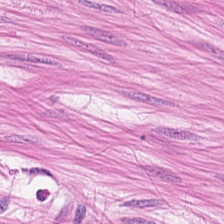H&E stain.
Q: Classify this patch.
A: The field shows smooth muscle.
